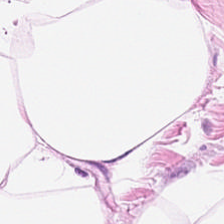H&E — adipocytes.
